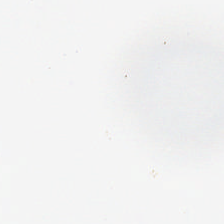0.5 µm per pixel. FFPE tissue section. H&E-stained tissue section — The content is empty background.
